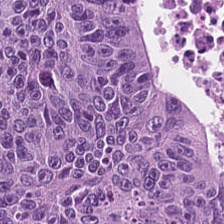Hematoxylin and eosin · 0.5 microns per pixel · FFPE.
Predominant tissue — malignant epithelium.
